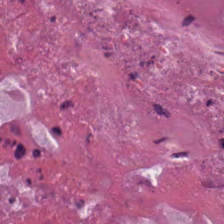Brightfield microscopy; hematoxylin-and-eosin stained section — Predominantly cellular debris.
